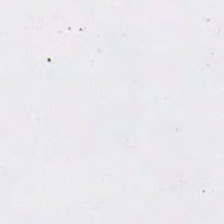Content = background.
